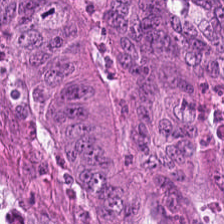H&E-stained section; the field shows malignant epithelium.
